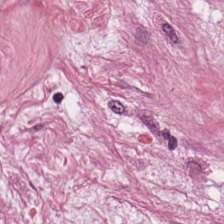H&E stain — Predominant tissue: desmoplastic stroma.
